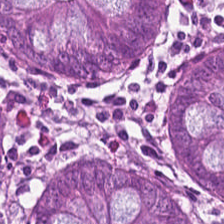Hematoxylin and eosin. 224×224 px tile — Q: Identify the tissue.
A: The field shows normal colonic mucosa.
